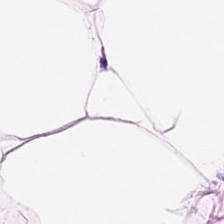H&E-stained section; the field shows adipose.
